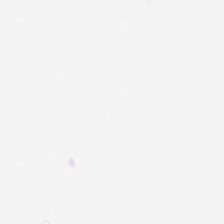Hematoxylin-and-eosin stained section. Content = no tissue.
